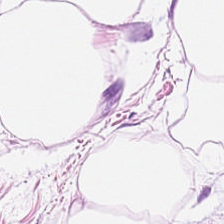FFPE tissue section · H&E · brightfield microscopy.
{"tissue_type": "adipose"}
